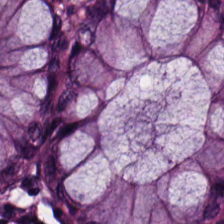FFPE tissue section · brightfield · H&E stain — Finding — normal colonic mucosa.
